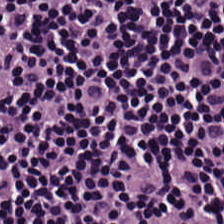H&E-stained tissue section. This patch shows lymphoid infiltrate.
